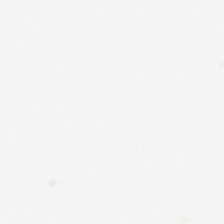Stain: hematoxylin-and-eosin stained section.
Classification: no tissue.
